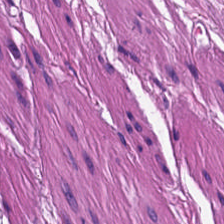Stain: hematoxylin-and-eosin stained section.
Tissue class: smooth-muscle tissue.
